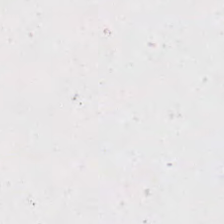Impression — empty background.
